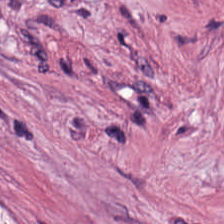224×224 px patch · H&E. Histology — cancer-associated stroma.
